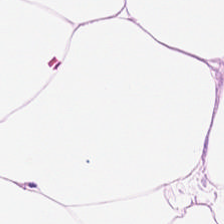The predominant tissue is adipose.
